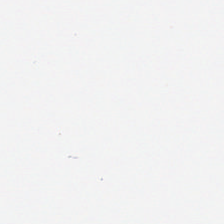Field content = background (no tissue).
